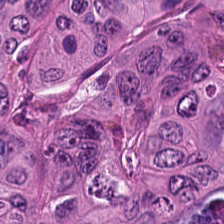H&E — Classification — malignant epithelium.
